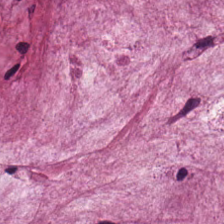Hematoxylin-and-eosin stained section. Showing mucus.
